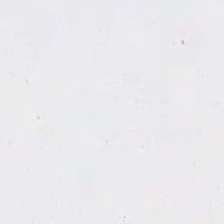This field is background (no tissue).
